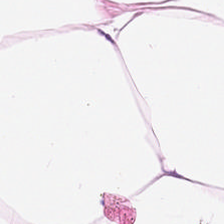H&E stain. Histology → adipose.
